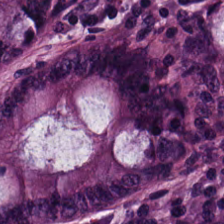H&E stain.
{"tissue_type": "benign colonic mucosa"}
